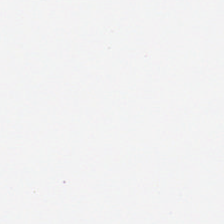H&E-stained tissue section · 224×224 px tile. {"content": "empty background"}
